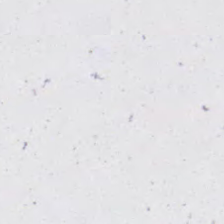Stain: hematoxylin-and-eosin stained section.
Resolution: 20× equivalent magnification.
Field content: empty background.
